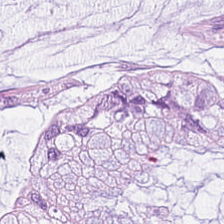H&E · 224×224 pixel tile · FFPE. Finding → extracellular mucin.
